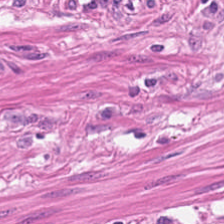224×224 px tile · formalin-fixed paraffin-embedded section · hematoxylin and eosin. Tissue: smooth-muscle tissue.
